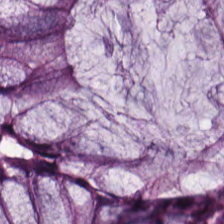H&E-stained tissue section — The predominant tissue is non-neoplastic colon mucosa.
